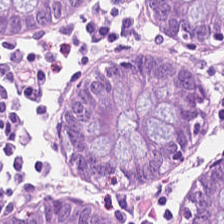Brightfield microscopy. H&E-stained tissue section.
Tissue: benign colonic mucosa.
